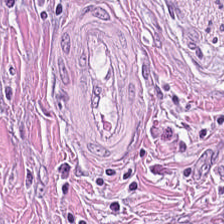This patch shows desmoplastic stroma.
